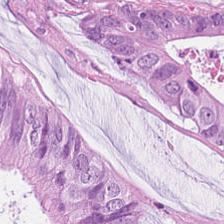The tissue here is colorectal adenocarcinoma epithelium.
